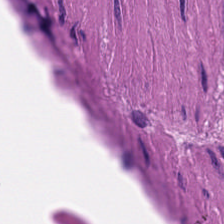Stain: hematoxylin and eosin.
Tissue: muscularis.
